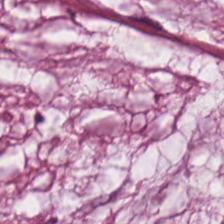Hematoxylin-and-eosin stained section; formalin-fixed paraffin-embedded section.
The tissue here is mucin.
